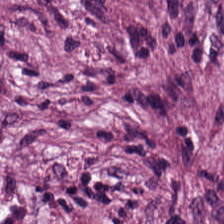Stain: hematoxylin-and-eosin stained section.
Predominant tissue: desmoplastic stroma.
